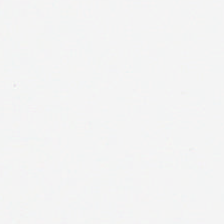H&E stain · 224×224 pixel tile · FFPE tissue section — Classification: no tissue.
